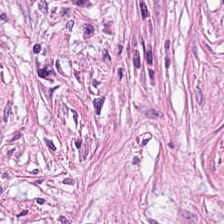Hematoxylin and eosin. The predominant tissue is tumor stroma.
